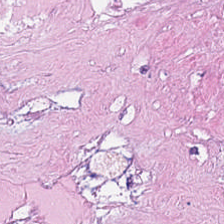224×224 pixel tile · hematoxylin and eosin. Showing debris.
